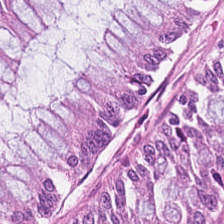This field is benign colonic mucosa.
